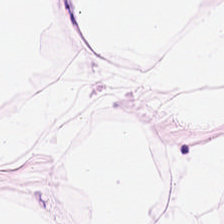H&E patch showing adipocytes.
